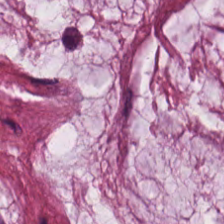H&E-stained section; the field shows extracellular mucin.
